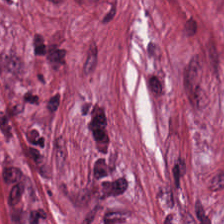Q: What tissue type is shown here?
A: Tumor stroma.
